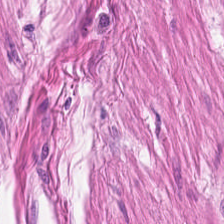Hematoxylin and eosin — The classification is smooth-muscle tissue.
